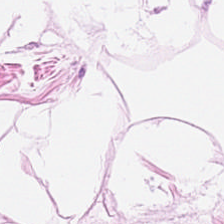Hematoxylin and eosin — This field is adipose tissue.
